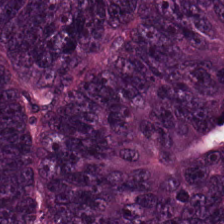Brightfield microscopy; formalin-fixed paraffin-embedded section; hematoxylin-and-eosin stained section — Tissue type — malignant epithelium.
